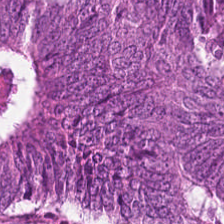Hematoxylin-and-eosin stained section — Predominantly colorectal adenocarcinoma epithelium.
